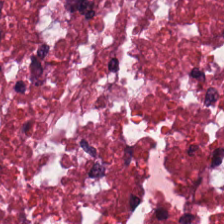Stain: hematoxylin-and-eosin stained section.
Resolution: 0.5 µm per pixel.
Tissue: cellular debris.
